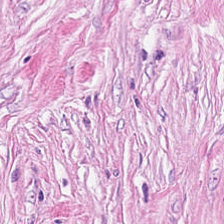224×224 px patch · formalin-fixed paraffin-embedded section · H&E stain. Q: What tissue type is shown here?
A: This is desmoplastic stroma.
